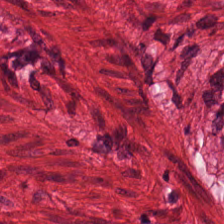H&E-stained tissue section. Q: Classify this patch.
A: This is smooth muscle.
